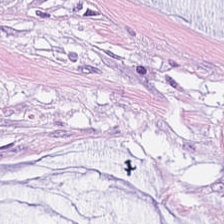H&E — extracellular mucin.
